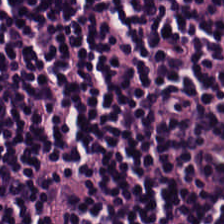Histology — lymphocyte aggregate.
